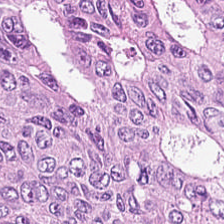Hematoxylin-and-eosin stained section — Q: Identify the tissue.
A: It is tumor epithelium.
